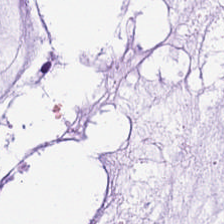H&E.
Histology — mucin.
